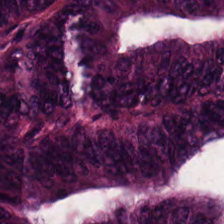Tissue — colorectal adenocarcinoma.
